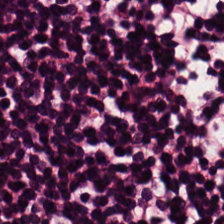H&E-stained tissue section.
Lymphoid infiltrate.
